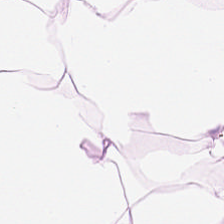0.5 µm/px. H&E. This patch shows adipose.
